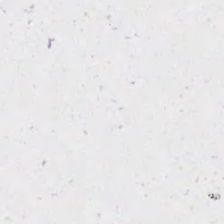H&E stain — This patch shows background.
